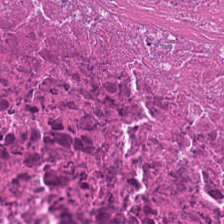Stain: H&E-stained tissue section.
Resolution: 20× equivalent magnification.
Tissue: necrotic debris.
